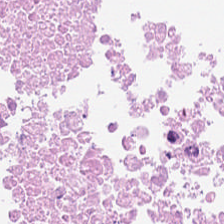FFPE tissue section · hematoxylin-and-eosin stained section — Q: What is shown in this field?
A: This is necrotic debris.
